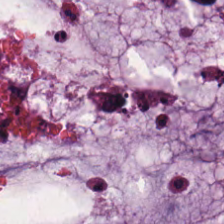H&E. 20× equivalent magnification. Q: Identify the tissue.
A: This is mucus.
